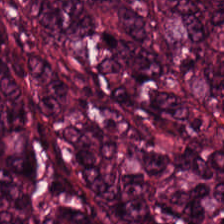Q: What is shown here?
A: The field shows adenocarcinoma.
